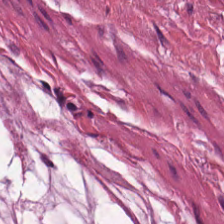Hematoxylin-and-eosin stained section — Mucin.
